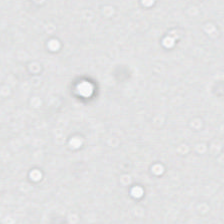This field is background (no tissue).
